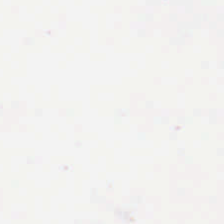Stain: H&E.
Preparation: FFPE.
Content: no tissue.
